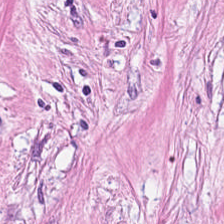H&E patch showing tumor stroma.
